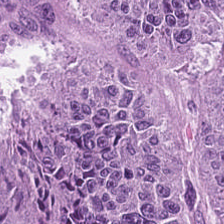Histology — adenocarcinoma.
